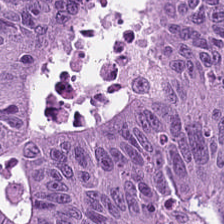Brightfield microscopy · H&E · 224×224 px patch — Showing malignant epithelium.
